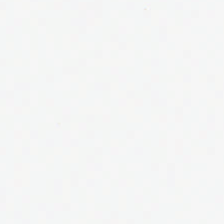Hematoxylin and eosin — Finding → no tissue.
